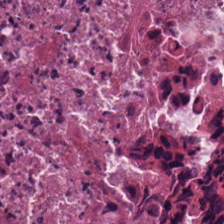224×224 pixel tile · hematoxylin-and-eosin stained section.
Tissue class — necrotic debris.
